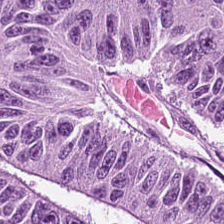Q: What tissue type is shown here?
A: Colorectal adenocarcinoma.
